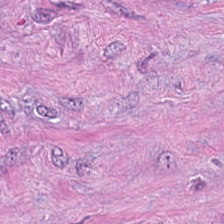FFPE tissue section; hematoxylin and eosin. The tissue here is tumor stroma.
